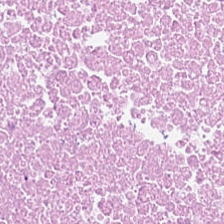Whole-slide-image patch; hematoxylin and eosin.
Q: What tissue type is shown here?
A: Debris.
